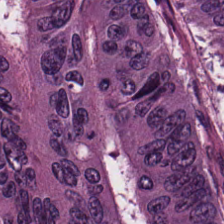H&E stain — Histology → tumor epithelium.
